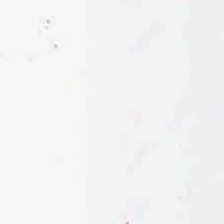Stain: hematoxylin-and-eosin stained section.
Content: no tissue.
